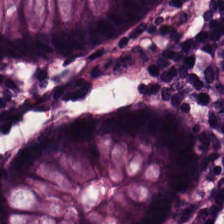H&E. This patch shows normal colon mucosa.
